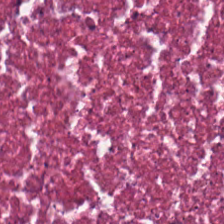Hematoxylin-and-eosin stained section — The tissue here is debris.
